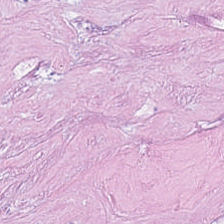This patch shows cellular debris.
